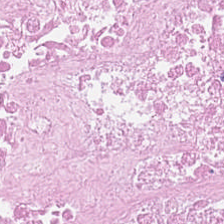Hematoxylin and eosin. Q: Classify this patch.
A: The field shows debris.
